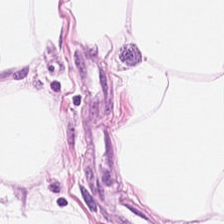0.5 µm per pixel; FFPE; H&E.
Tissue type — fat tissue.
